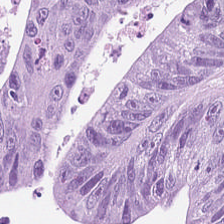Predominantly colorectal adenocarcinoma epithelium.
